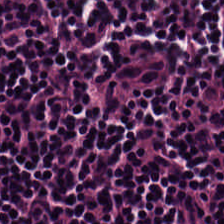0.5 microns per pixel · H&E-stained tissue section · 224×224 px tile. This field is lymphoid infiltrate.
